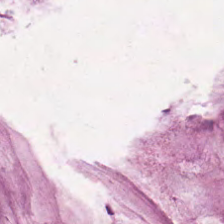Q: What is shown in this field?
A: The field shows extracellular mucin.
